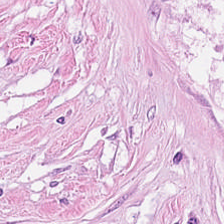H&E-stained tissue section. This patch shows cancer-associated stroma.
